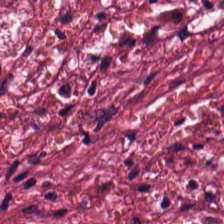Hematoxylin and eosin.
Q: Classify this patch.
A: This is cancer-associated stroma.
